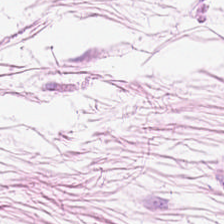0.5 µm per pixel. H&E stain — This field is adipose tissue.
